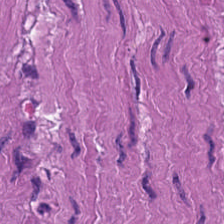WSI patch; H&E-stained tissue section — Q: What is shown in this field?
A: Smooth-muscle tissue.
